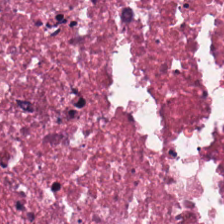Hematoxylin and eosin — Classification — cellular debris.
